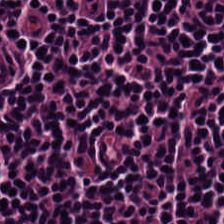Hematoxylin and eosin. 0.5 microns per pixel. Tissue class = lymphoid infiltrate.
